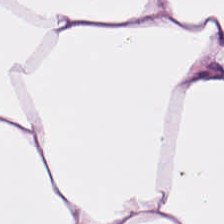Hematoxylin-and-eosin stained section · brightfield.
Tissue class = adipocytes.
